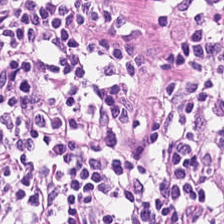H&E stain. FFPE tissue section. Tissue type: lymphocytes.
